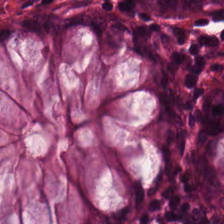Stain: hematoxylin-and-eosin stained section.
Tissue: normal colonic mucosa.
